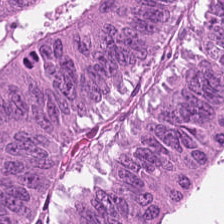H&E stain.
This patch shows malignant epithelium.
